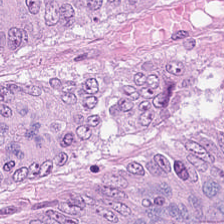H&E-stained tissue section.
Colorectal adenocarcinoma.
